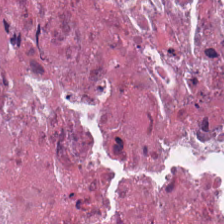Tissue type = debris.
